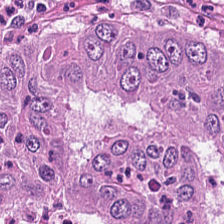Stain: H&E stain.
Acquisition: whole-slide-image patch.
Resolution: 0.5 microns per pixel.
Predominant tissue: tumor epithelium.
